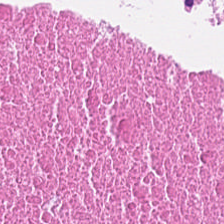This field is debris.
